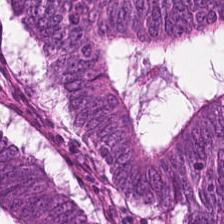Stain: H&E-stained tissue section.
Predominant tissue: tumor epithelium.
